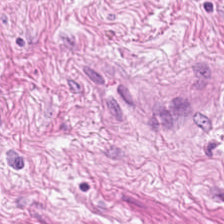H&E-stained tissue section. Finding — smooth-muscle tissue.
